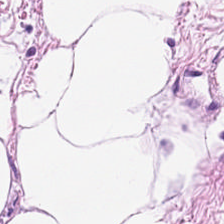The predominant tissue is adipose tissue.
